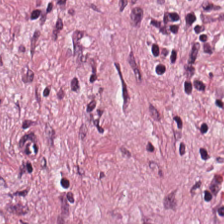0.5 µm per pixel · hematoxylin and eosin · whole-slide-image patch.
This field is tumor-associated stroma.
